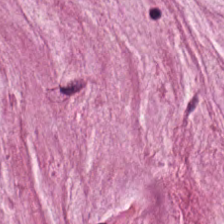Brightfield. FFPE tissue section. H&E.
Mucin.
